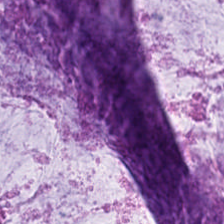Classification — mucus.
